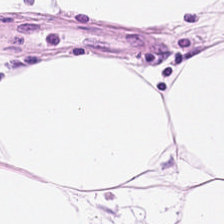Q: What is shown in this field?
A: This is adipose.
